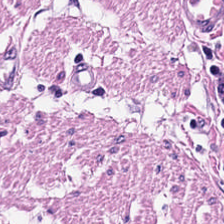Impression → smooth muscle.
